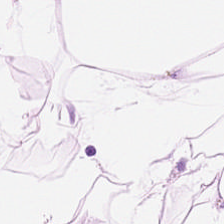H&E stain · FFPE tissue section · brightfield microscopy — Tissue: adipose.
